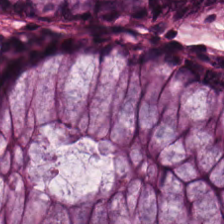Stain: hematoxylin and eosin.
Resolution: 0.5 microns per pixel.
Preparation: FFPE tissue section.
Predominant tissue: normal colonic mucosa.
